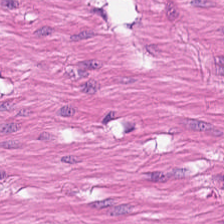Q: What tissue is shown?
A: This is muscularis.
